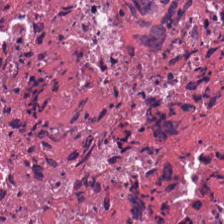H&E-stained tissue section · formalin-fixed paraffin-embedded section. The tissue here is debris.
